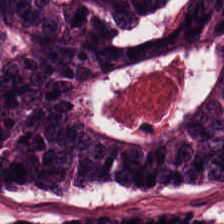Hematoxylin-and-eosin stained section · 0.5 µm/px.
This field is malignant epithelium.
